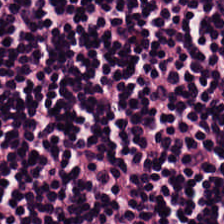Hematoxylin-and-eosin stained section — Showing lymphocyte aggregate.
